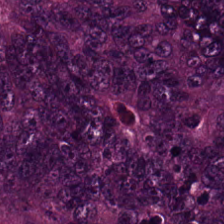Stain: H&E stain.
Acquisition: brightfield microscopy.
Tissue type: tumor epithelium.
